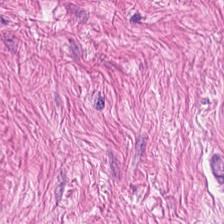{"tissue_type": "muscularis"}
